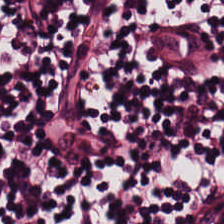Stain: hematoxylin-and-eosin stained section.
Preparation: formalin-fixed paraffin-embedded section.
Tissue: lymphocytic infiltrate.
